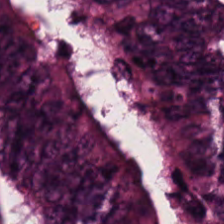H&E patch showing tumor epithelium.
